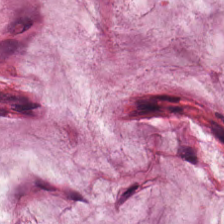H&E-stained tissue section · 0.5 µm/px. Q: What is shown here?
A: It is mucin.
